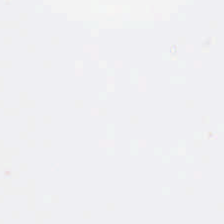H&E-stained tissue section. {"content": "empty background"}
